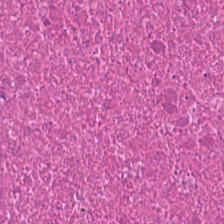Hematoxylin and eosin — The tissue here is necrotic debris.
